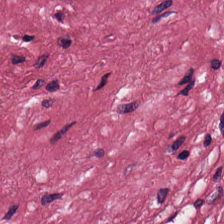Q: What is the predominant tissue type?
A: It is tumor-associated stroma.
